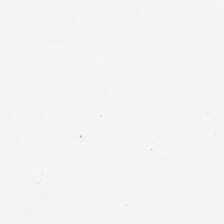224×224 pixel tile; H&E stain — This field is background (no tissue).
